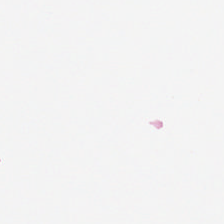Hematoxylin-and-eosin stained section — {"content": "background"}
